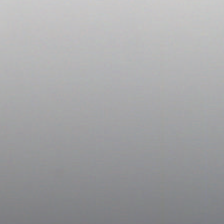Hematoxylin and eosin — Background (no tissue).
